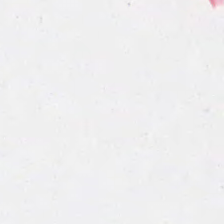224×224 px patch; hematoxylin-and-eosin stained section.
The field content is background.
